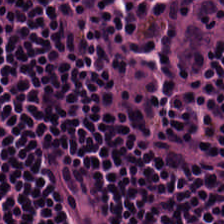Q: What is shown in this field?
A: The field shows lymphocyte aggregate.
